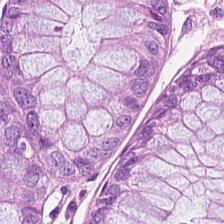Stain: hematoxylin and eosin.
Tile size: 224×224 pixel tile.
Classification: normal colonic mucosa.
